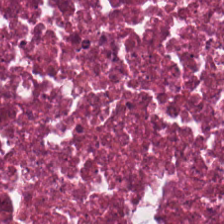Q: What does this patch show?
A: This is necrotic debris.
